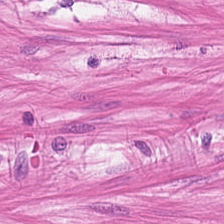H&E — Predominantly smooth muscle.
